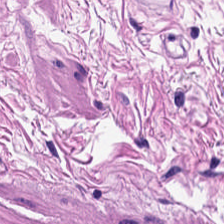Hematoxylin and eosin · 224×224 px tile · whole-slide-image patch — Q: What is the predominant tissue type?
A: This is muscularis.
